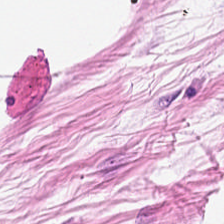H&E-stained tissue section · WSI patch. Finding — adipose.
